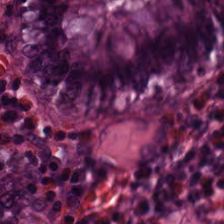Hematoxylin and eosin; formalin-fixed paraffin-embedded section; brightfield microscopy.
Q: What does this patch show?
A: The field shows non-neoplastic colon mucosa.
